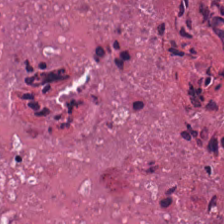FFPE. Brightfield microscopy. H&E — Finding — cellular debris.
